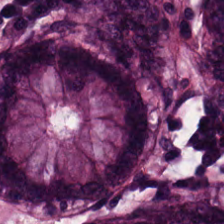Q: What is the predominant tissue type?
A: It is normal colon mucosa.
